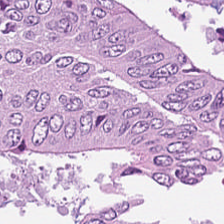H&E-stained tissue section.
This field is colorectal adenocarcinoma epithelium.
